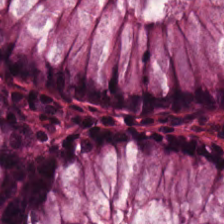H&E · 0.5 microns per pixel. Q: What is shown here?
A: It is non-neoplastic colon mucosa.
